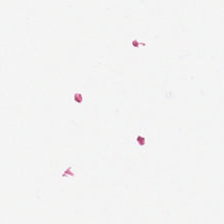224×224 pixel tile. 0.5 µm/px. H&E.
Q: What is shown in this field?
A: It is background.
